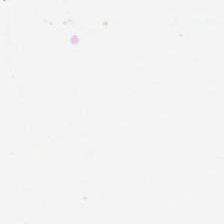H&E.
Background — no tissue in this field.
